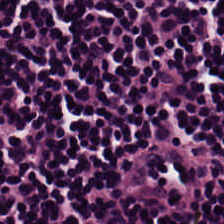H&E-stained tissue section — This field is lymphoid infiltrate.
